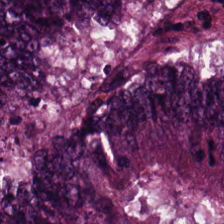Hematoxylin-and-eosin stained section; 224×224 px tile — Histology → adenocarcinoma.
